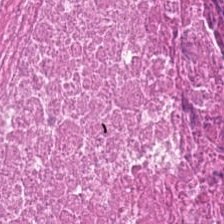Hematoxylin-and-eosin stained section — Q: What is shown here?
A: This is cellular debris.
